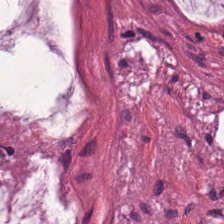H&E — Q: What is shown in this field?
A: Extracellular mucin.
